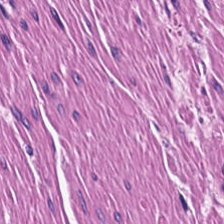Hematoxylin-and-eosin stained section — Q: Identify the tissue.
A: Muscularis.
